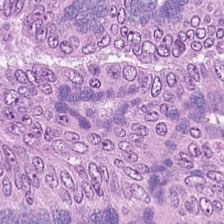Hematoxylin and eosin. 20× equivalent magnification — Showing colorectal adenocarcinoma epithelium.
